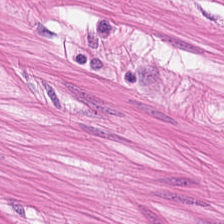H&E stain · 224×224 pixel tile.
Impression → smooth-muscle tissue.
